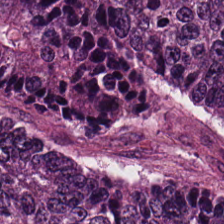Stain: hematoxylin and eosin.
Preparation: FFPE.
Acquisition: brightfield.
Tissue: adenocarcinoma.
